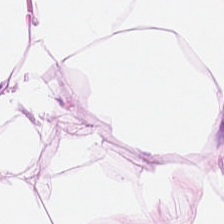Tissue type: fat tissue.
